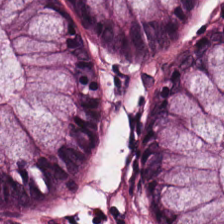H&E stain — Q: What tissue type is shown here?
A: The field shows normal colonic mucosa.
